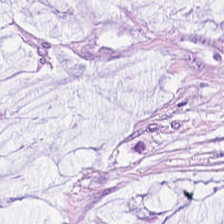WSI patch; FFPE; hematoxylin-and-eosin stained section — Tissue type = mucus.
